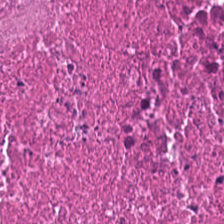Tissue type — necrotic debris.
